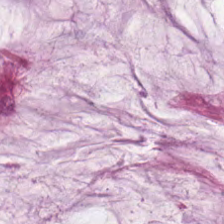Q: Classify this patch.
A: This is mucin.
